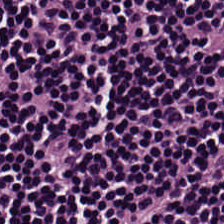Stain: hematoxylin-and-eosin stained section.
Acquisition: WSI patch.
Predominant tissue: lymphocyte aggregate.
